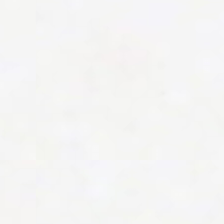Brightfield microscopy; H&E-stained tissue section; 224×224 pixel tile. {"content": "no tissue"}
